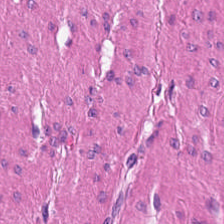FFPE · H&E stain · 224×224 pixel tile.
Q: What tissue is shown?
A: Smooth-muscle tissue.
